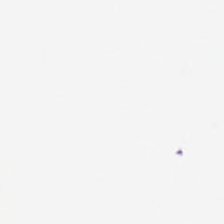Hematoxylin and eosin — The content is background.
